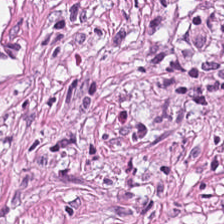H&E. The predominant tissue is tumor stroma.
